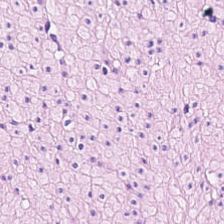Hematoxylin-and-eosin stained section. Impression — smooth-muscle tissue.
